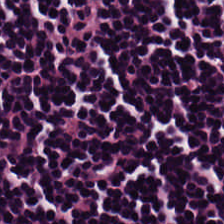224×224 px patch. Hematoxylin-and-eosin stained section.
Finding — lymphoid infiltrate.
